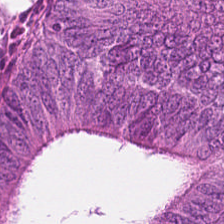H&E-stained tissue section.
Tissue: colorectal adenocarcinoma.
